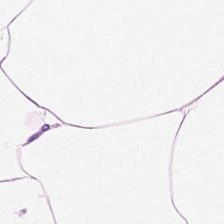Q: What type of tissue is this?
A: Adipocytes.
